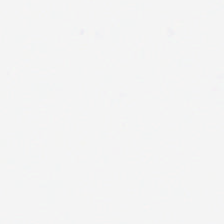Finding — empty background.
